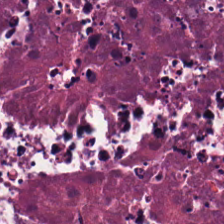H&E — {"tissue_type": "necrotic debris"}
